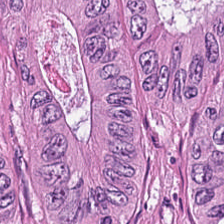Hematoxylin and eosin.
Predominant tissue — colorectal adenocarcinoma epithelium.
